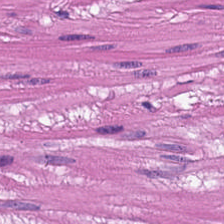{"tissue_type": "smooth muscle"}
